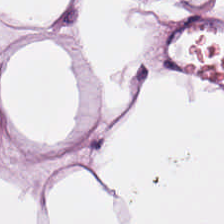H&E stain — Q: What tissue is shown?
A: This is adipocytes.
